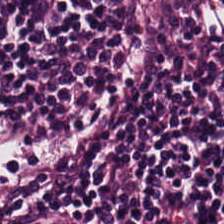H&E-stained tissue section.
Classification — lymphocytes.
